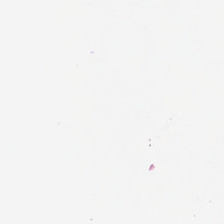Histology → empty background.
